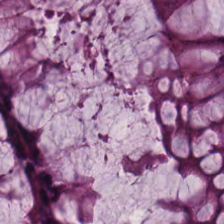H&E. 224×224 pixel tile.
The predominant tissue is normal colon mucosa.
